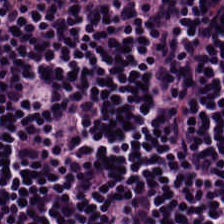0.5 µm/px; hematoxylin and eosin; 224×224 px tile.
This patch shows lymphocytes.
